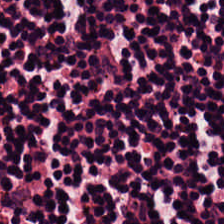H&E stain — Q: What is shown here?
A: The field shows lymphoid infiltrate.
